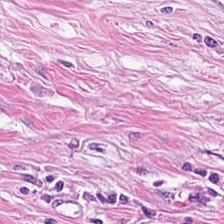H&E-stained tissue section. Brightfield microscopy. Formalin-fixed paraffin-embedded section — Tissue type — tumor-associated stroma.
